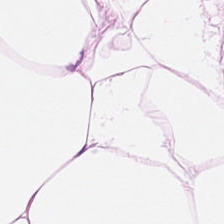224×224 px tile. WSI patch. H&E-stained tissue section — Q: What tissue type is shown here?
A: Adipocytes.
